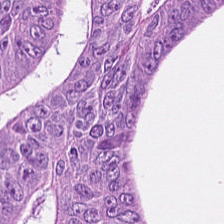0.5 µm per pixel · hematoxylin and eosin — This patch shows malignant epithelium.
